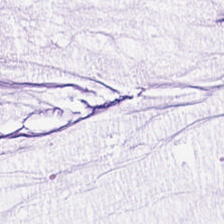Hematoxylin-and-eosin stained section.
Q: What tissue type is shown here?
A: It is mucus.
